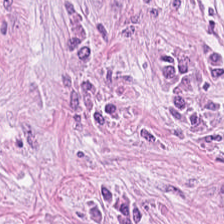0.5 µm per pixel; 224×224 pixel tile; hematoxylin-and-eosin stained section. {"tissue_type": "tumor-associated stroma"}
